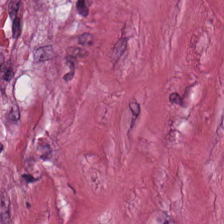H&E stain — Tumor-associated stroma.
